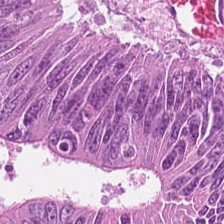0.5 µm per pixel. H&E stain. WSI patch. This patch shows colorectal adenocarcinoma epithelium.
